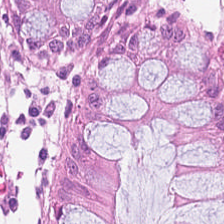Stain: hematoxylin-and-eosin stained section.
Tissue type: normal colonic mucosa.
